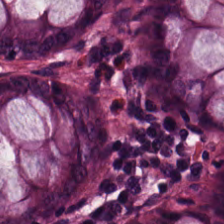{"tissue_type": "benign colonic mucosa"}
